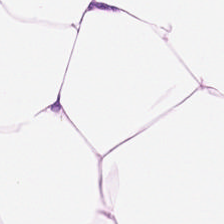Stain: H&E.
Acquisition: brightfield microscopy.
Tissue: adipose tissue.
